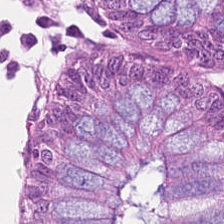Stain: hematoxylin and eosin.
Classification: normal colon mucosa.
